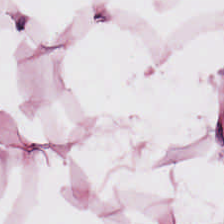Stain: H&E.
Tissue: adipocytes.
